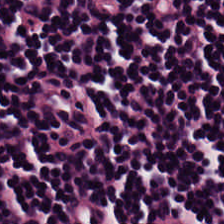Hematoxylin-and-eosin stained section. {"tissue_type": "lymphocytic infiltrate"}
